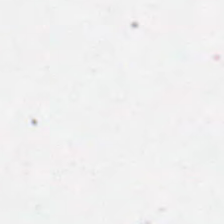224×224 pixel tile; hematoxylin-and-eosin stained section — Content — no tissue.
